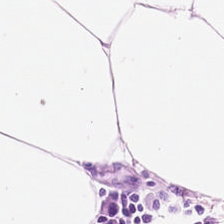Hematoxylin and eosin; 0.5 µm per pixel. This field is adipose.
